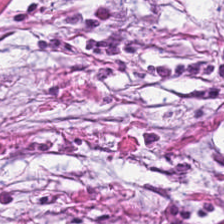FFPE · H&E stain.
Q: What is shown here?
A: It is tumor-associated stroma.
